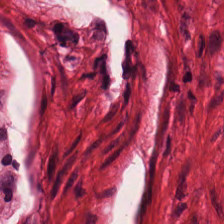Showing smooth muscle.
